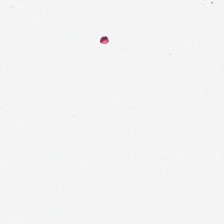Whole-slide-image patch; H&E stain — {"content": "background"}
